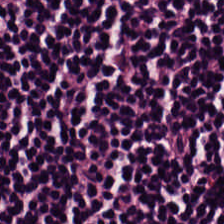Hematoxylin and eosin; formalin-fixed paraffin-embedded section. Q: What does this patch show?
A: The field shows lymphocytic infiltrate.
